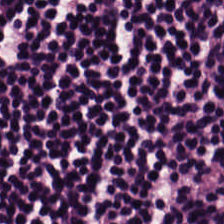H&E stain — The classification is lymphocytes.
